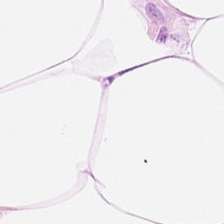224×224 pixel tile. 0.5 microns per pixel. Hematoxylin and eosin. Classification — fat tissue.
